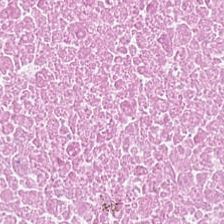Q: What does this patch show?
A: Cellular debris.
